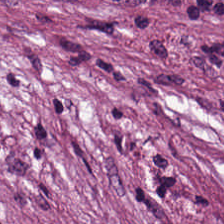Q: What is the predominant tissue type?
A: This is tumor-associated stroma.
